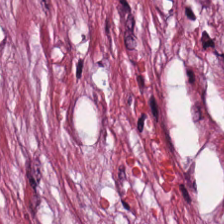Stain: H&E stain.
Preparation: FFPE.
Tissue type: tumor stroma.
